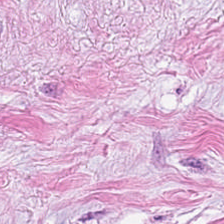H&E-stained tissue section — The classification is desmoplastic stroma.
